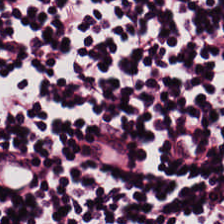Q: What type of tissue is this?
A: Lymphocyte aggregate.
